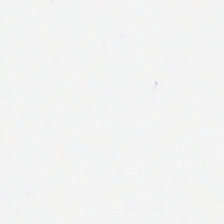Hematoxylin-and-eosin stained section. The field content is background.
